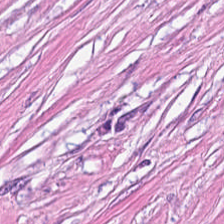Hematoxylin and eosin; FFPE.
Finding — tumor stroma.
